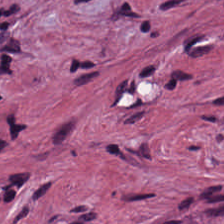Tissue type = desmoplastic stroma.
